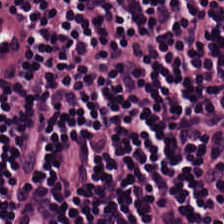Hematoxylin-and-eosin stained section; 224×224 px tile.
The predominant tissue is lymphoid infiltrate.
